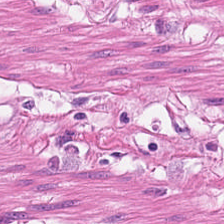Stain: H&E-stained tissue section.
Classification: muscularis.
